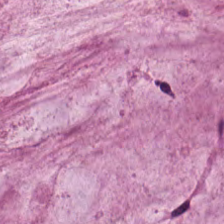Impression → extracellular mucin.
